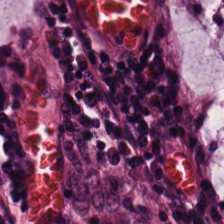H&E-stained tissue section · 0.5 µm/px. Impression — normal colon mucosa.
